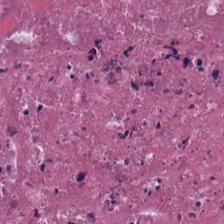This field is debris.
